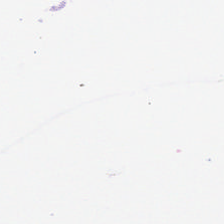H&E · 20× equivalent magnification. This field is background (no tissue).
